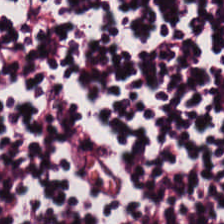Hematoxylin and eosin — {"tissue_type": "lymphocyte aggregate"}
